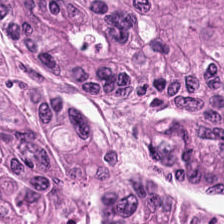Q: Identify the tissue.
A: It is colorectal adenocarcinoma.
